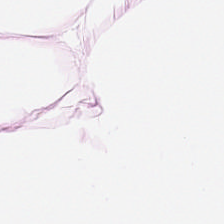H&E-stained tissue section.
The tissue type is adipose tissue.
